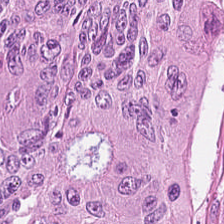H&E-stained tissue section.
The predominant tissue is tumor epithelium.
